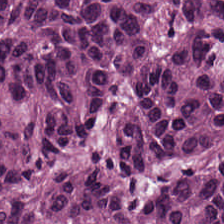Q: What is shown here?
A: It is colorectal adenocarcinoma.
